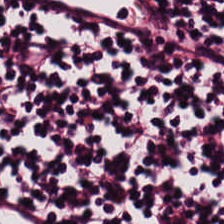H&E stain; whole-slide-image patch.
Tissue = lymphocytic infiltrate.
